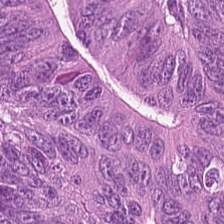Stain: hematoxylin-and-eosin stained section.
Tissue: colorectal adenocarcinoma epithelium.
